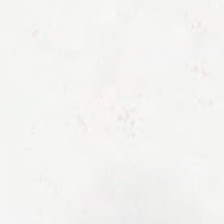No tissue present; background only.
